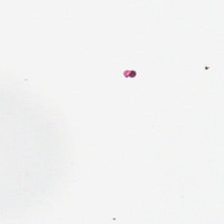Histology — empty background.
